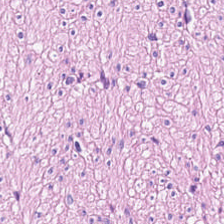0.5 µm per pixel · H&E stain. This field is muscularis.
